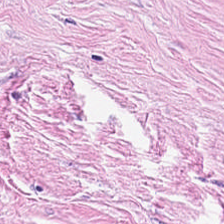Hematoxylin and eosin. 224×224 px patch — The tissue class is tumor stroma.
